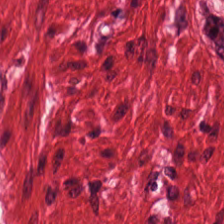Hematoxylin-and-eosin stained section — Impression → muscularis.
